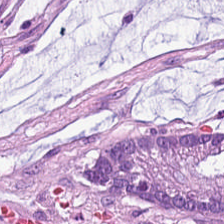224×224 px tile; brightfield microscopy; H&E. This patch shows mucus.
